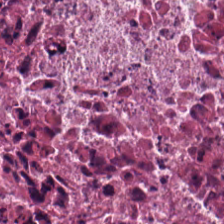H&E stain · formalin-fixed paraffin-embedded section · 224×224 px tile. The tissue here is debris.
